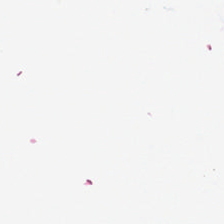H&E.
{"content": "background (no tissue)"}
